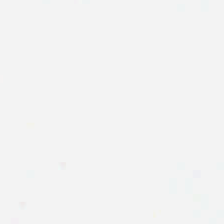H&E. The content is background.
